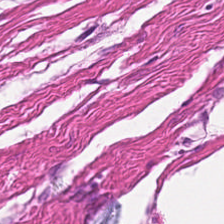H&E — Tissue class = smooth muscle.
